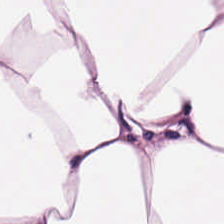Tissue — fat tissue.
